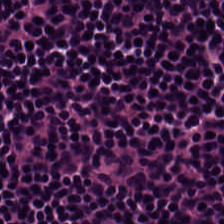H&E-stained tissue section showing lymphocytes.
